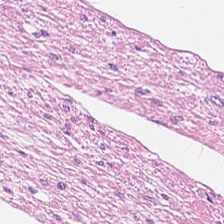The tissue here is muscularis.
